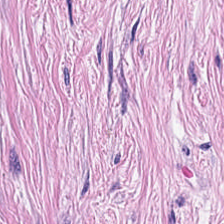WSI patch. Hematoxylin and eosin. 0.5 microns per pixel — Showing cancer-associated stroma.
